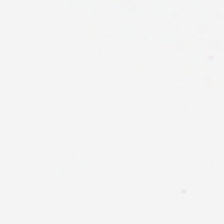This field is background (no tissue).
